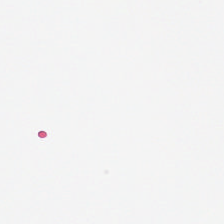No tissue present; background only.
